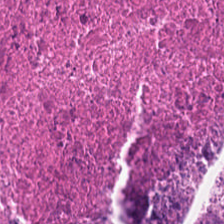H&E. 224×224 px tile — Q: What is shown here?
A: Cellular debris.
